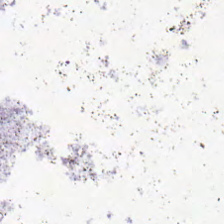Formalin-fixed paraffin-embedded section; hematoxylin and eosin. Histology — background (no tissue).
